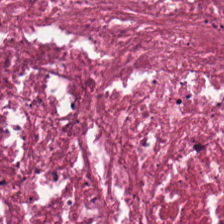Stain: hematoxylin and eosin.
Tissue type: cellular debris.
